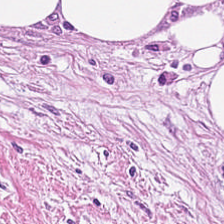Q: Classify this patch.
A: The field shows tumor-associated stroma.
